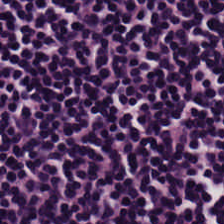Hematoxylin and eosin.
The classification is lymphocytes.
